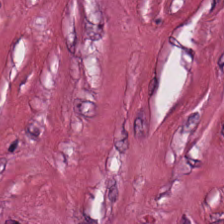224×224 px tile; hematoxylin-and-eosin stained section.
Tissue — tumor-associated stroma.
